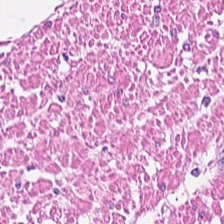H&E · 224×224 px patch — Q: What tissue type is shown here?
A: Smooth-muscle tissue.
